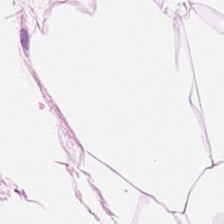Brightfield. H&E.
Q: What is shown here?
A: This is adipose tissue.
